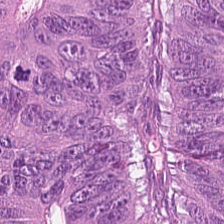224×224 px tile. H&E-stained tissue section. Formalin-fixed paraffin-embedded section.
This patch shows adenocarcinoma.
